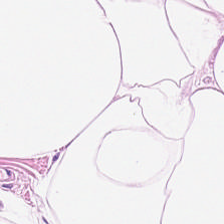Tissue class — adipose tissue.
